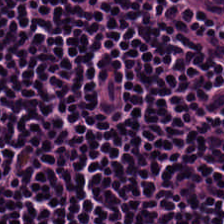H&E-stained tissue section — Lymphocytic infiltrate.
